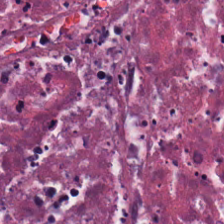Stain: H&E-stained tissue section.
Predominant tissue: necrotic debris.
